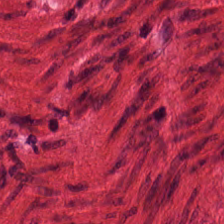Brightfield. Hematoxylin and eosin.
Muscularis.
